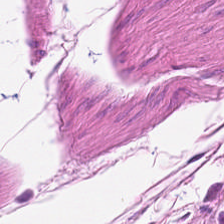Hematoxylin and eosin — Tissue type: muscularis.
